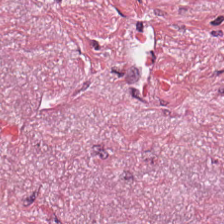Hematoxylin and eosin — Showing tumor-associated stroma.
